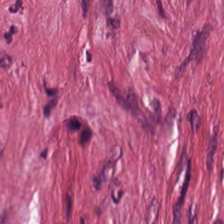H&E · formalin-fixed paraffin-embedded section · 224×224 px patch — Impression — tumor stroma.
